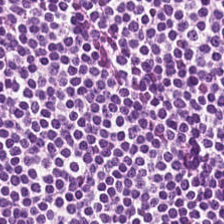Hematoxylin-and-eosin stained section. Q: Classify this patch.
A: It is lymphocytic infiltrate.
